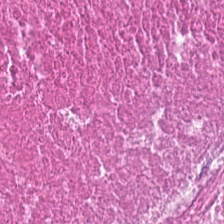Predominantly cellular debris.
